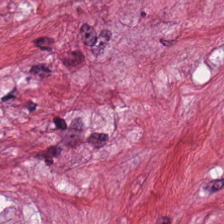H&E-stained tissue section · FFPE. Histology → tumor-associated stroma.
